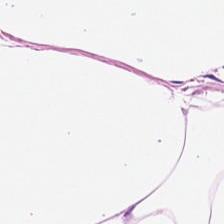H&E-stained tissue section.
Adipose tissue.
